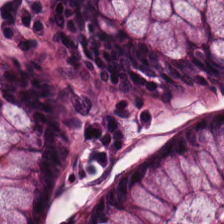20× equivalent magnification; H&E-stained tissue section. Q: What tissue is shown?
A: Benign colonic mucosa.
